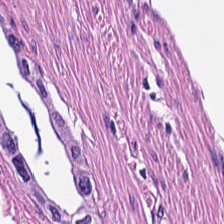Stain: H&E stain.
Tile size: 224×224 px patch.
Tissue class: smooth muscle.
